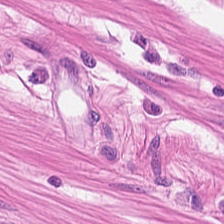H&E stain · 0.5 µm/px.
Impression — smooth-muscle tissue.
